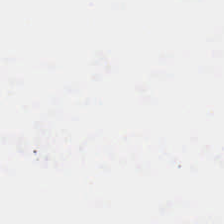Hematoxylin-and-eosin stained section. This field is background (no tissue).
